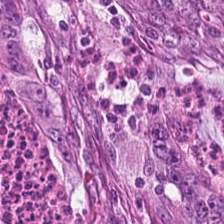Hematoxylin-and-eosin stained section.
The tissue here is malignant epithelium.
